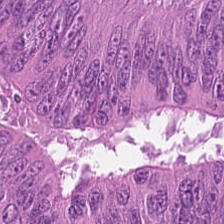Q: What tissue type is shown here?
A: It is colorectal adenocarcinoma.
